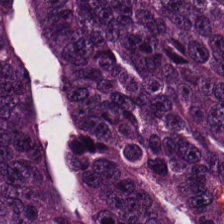Q: What is the predominant tissue type?
A: Adenocarcinoma.
